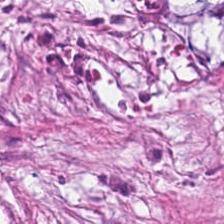224×224 px patch · hematoxylin and eosin. Predominant tissue — tumor-associated stroma.
